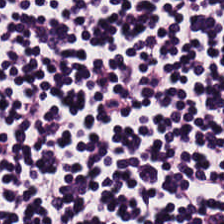H&E-stained tissue section · whole-slide-image patch.
Histology — lymphocytic infiltrate.
